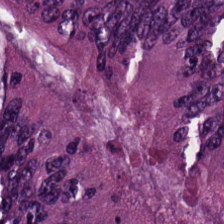Formalin-fixed paraffin-embedded section · H&E · 224×224 px patch.
{"tissue_type": "tumor epithelium"}
